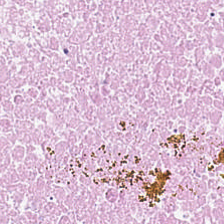H&E-stained tissue section. Formalin-fixed paraffin-embedded section. Tissue class = necrotic debris.
